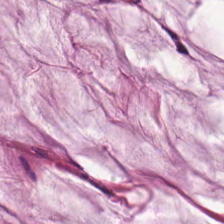H&E-stained tissue section. The classification is mucus.
